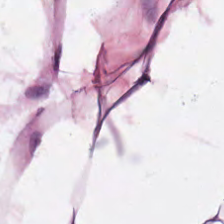224×224 px tile; H&E-stained tissue section. Finding — adipose.
